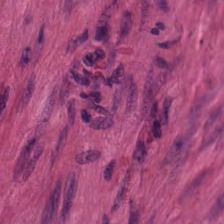H&E-stained tissue section. Q: What is the predominant tissue type?
A: Muscularis.
